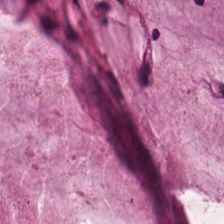H&E stain. Impression — mucin.
